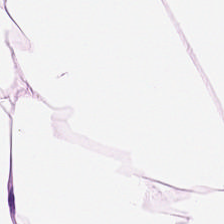Finding — fat tissue.
